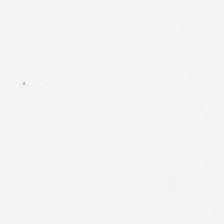Hematoxylin and eosin. {"content": "empty background"}
